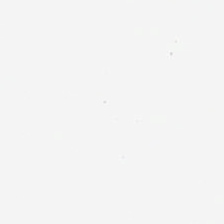H&E. Content: background (no tissue).
